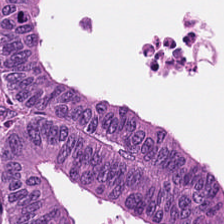0.5 µm per pixel · H&E · 224×224 pixel tile. Tissue = colorectal adenocarcinoma epithelium.
